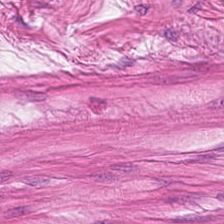Hematoxylin-and-eosin stained section; 224×224 pixel tile; FFPE tissue section.
Q: Classify this patch.
A: It is smooth muscle.
